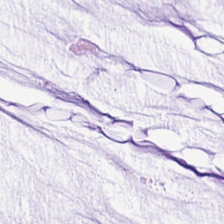Whole-slide-image patch. Hematoxylin and eosin. 0.5 microns per pixel — Finding — mucin.
